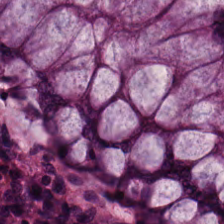Hematoxylin and eosin.
Histology → normal colonic mucosa.
